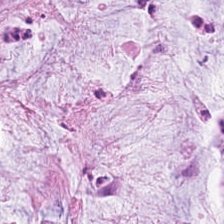{"tissue_type": "extracellular mucin"}
